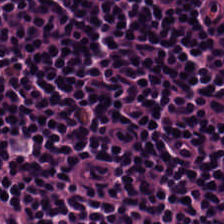Hematoxylin and eosin; 224×224 pixel tile.
The tissue is lymphocytic infiltrate.
